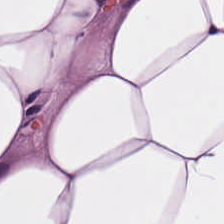Impression → adipose tissue.
